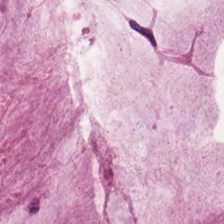Tissue class — mucin.
